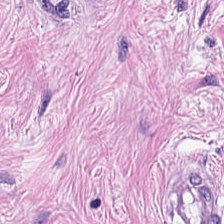Stain: H&E stain.
Classification: tumor stroma.
